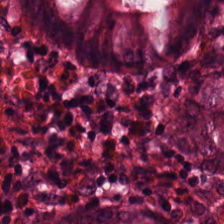Q: What does this patch show?
A: The field shows non-neoplastic colon mucosa.
